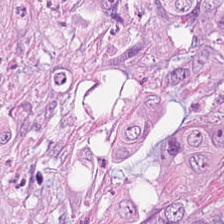Q: Identify the tissue.
A: It is tumor epithelium.
